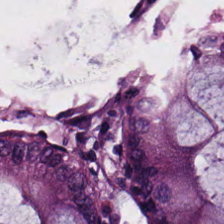H&E · 20× equivalent magnification. Finding — normal colonic mucosa.
